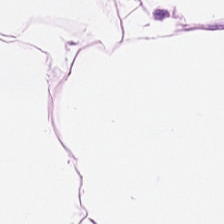H&E stain; FFPE tissue section.
Classification: adipose.
